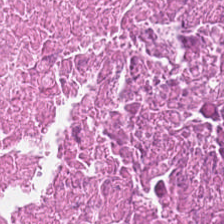Classification: cellular debris.
